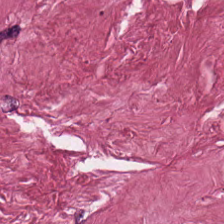FFPE · brightfield · hematoxylin and eosin — Finding → tumor stroma.
